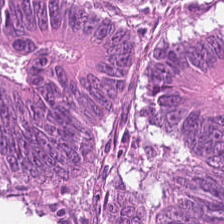H&E-stained tissue section.
Showing colorectal adenocarcinoma epithelium.
